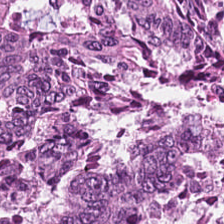H&E-stained tissue section. Q: What is shown in this field?
A: The field shows tumor epithelium.
